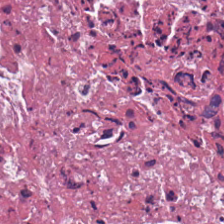224×224 px patch · hematoxylin and eosin · 0.5 µm/px — Tissue: cellular debris.
